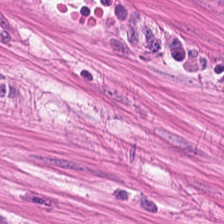Stain: hematoxylin and eosin.
Acquisition: whole-slide-image patch.
Tissue: muscularis.
